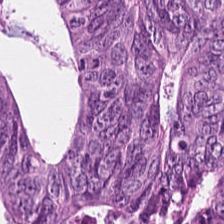Whole-slide-image patch. H&E — {"tissue_type": "tumor epithelium"}
